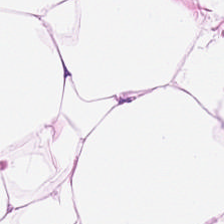Stain: H&E stain.
Tile size: 224×224 pixel tile.
Tissue: fat tissue.
